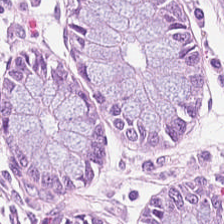Stain: hematoxylin-and-eosin stained section.
Tissue type: non-neoplastic colon mucosa.
